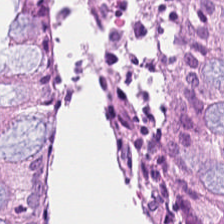Hematoxylin-and-eosin stained section. The classification is non-neoplastic colon mucosa.
